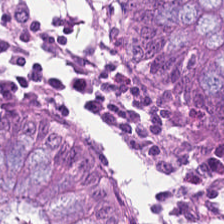H&E stain — Predominantly benign colonic mucosa.
